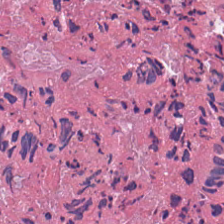H&E-stained tissue section · 0.5 µm per pixel · FFPE tissue section — This patch shows necrotic debris.
